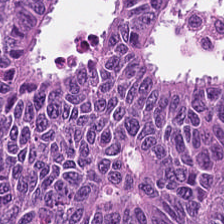Q: What does this patch show?
A: It is tumor epithelium.
